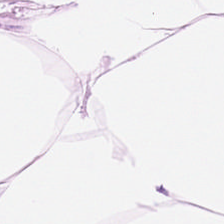FFPE; hematoxylin-and-eosin stained section.
Predominantly adipose tissue.
